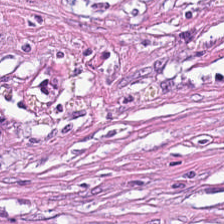FFPE tissue section. Hematoxylin-and-eosin stained section.
Tissue class: desmoplastic stroma.
